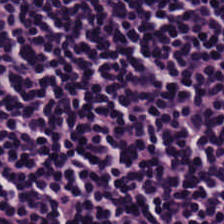H&E-stained tissue section. Finding — lymphocytic infiltrate.
